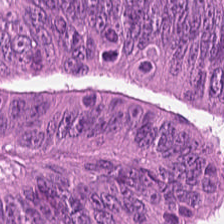Hematoxylin-and-eosin stained section. 0.5 µm/px. Colorectal adenocarcinoma epithelium.
